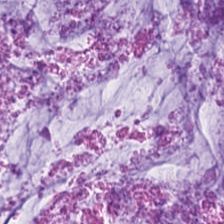Whole-slide-image patch. H&E stain. Formalin-fixed paraffin-embedded section.
Showing mucin.
